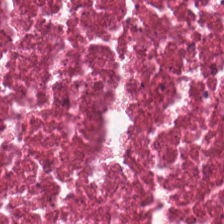Hematoxylin and eosin; 224×224 px patch; 20× equivalent magnification. Tissue type — necrotic debris.
